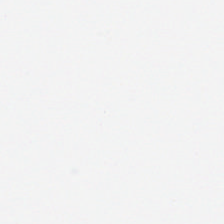Hematoxylin-and-eosin stained section. 224×224 px patch.
This field is background (no tissue).
